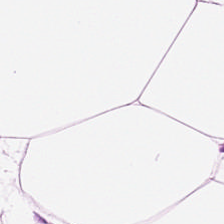0.5 µm per pixel. 224×224 pixel tile. Hematoxylin-and-eosin stained section. Predominant tissue: fat tissue.
